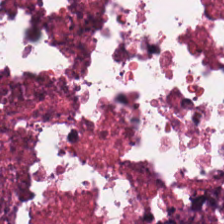Hematoxylin and eosin. Predominant tissue — cellular debris.
